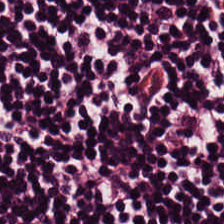H&E. FFPE — Tissue class: lymphoid infiltrate.
